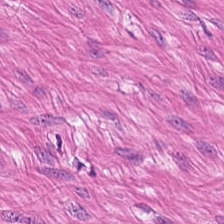H&E-stained tissue section. {"tissue_type": "smooth-muscle tissue"}
